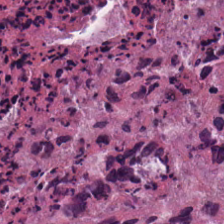H&E. The predominant tissue is debris.
